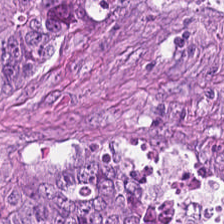Tissue class = colorectal adenocarcinoma epithelium.
